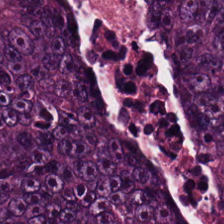H&E-stained tissue section showing tumor epithelium.
